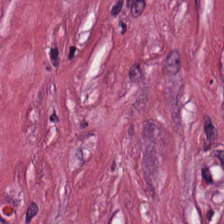Hematoxylin and eosin. The predominant tissue is tumor stroma.
